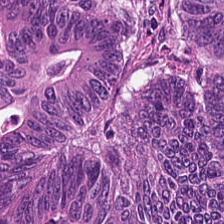Hematoxylin-and-eosin stained section · 0.5 µm/px.
Classification: malignant epithelium.
